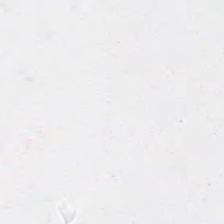Impression → empty background.
